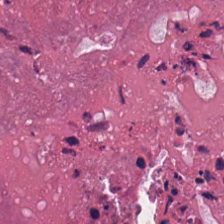Formalin-fixed paraffin-embedded section · H&E stain — {"tissue_type": "necrotic debris"}
